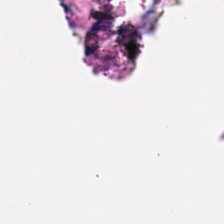224×224 px tile; hematoxylin and eosin.
No tissue present; background only.
